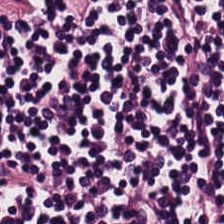H&E · brightfield microscopy — This field is lymphocyte aggregate.
